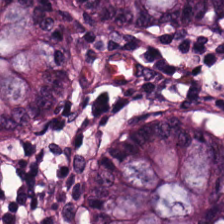Stain: H&E.
Tissue class: normal colonic mucosa.
